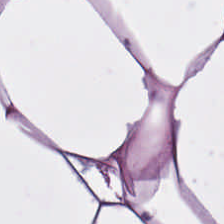Stain: hematoxylin-and-eosin stained section.
Classification: adipocytes.
